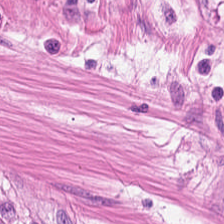H&E stain. Tissue type — smooth-muscle tissue.
